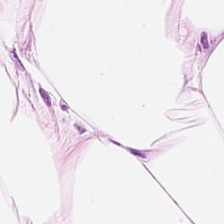H&E-stained tissue section — Fat tissue.
